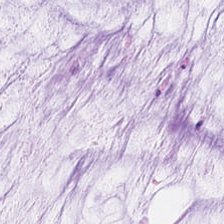H&E-stained tissue section — The tissue here is mucus.
